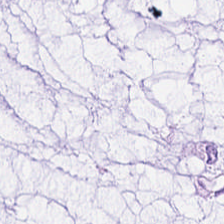224×224 px patch; H&E stain. This patch shows extracellular mucin.
